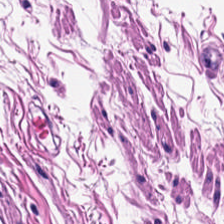H&E. Q: What tissue is shown?
A: This is smooth-muscle tissue.
